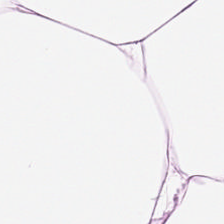Impression → adipose.
